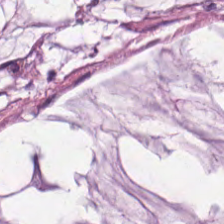H&E — The tissue here is extracellular mucin.
